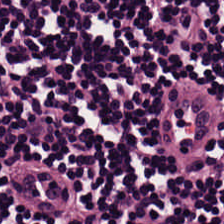Hematoxylin and eosin. 224×224 px tile. The tissue here is lymphocytes.
